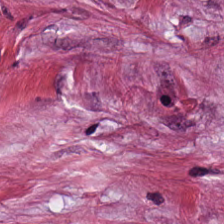0.5 µm per pixel; FFPE tissue section; hematoxylin and eosin. Q: What does this patch show?
A: This is cancer-associated stroma.
